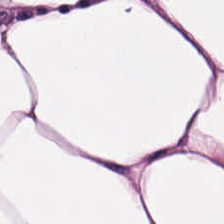H&E stain — Q: What tissue type is shown here?
A: It is adipocytes.
